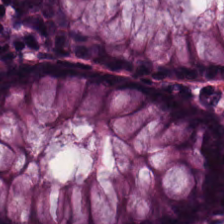FFPE tissue section · H&E.
The tissue is benign colonic mucosa.
